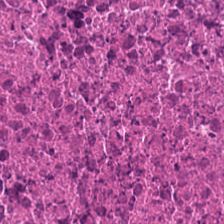Whole-slide-image patch · H&E stain — Showing cellular debris.
